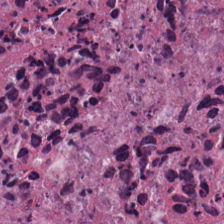Q: Identify the tissue.
A: Necrotic debris.
